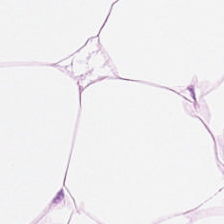H&E-stained tissue section · 224×224 px tile.
Predominantly adipose tissue.
